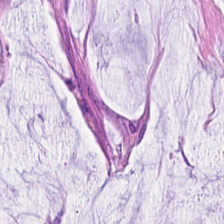Stain: H&E-stained tissue section.
Acquisition: whole-slide-image patch.
Classification: mucin.
